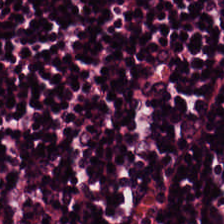FFPE. H&E-stained tissue section. Brightfield microscopy — This patch shows lymphocytic infiltrate.
